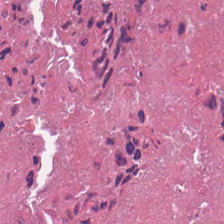Brightfield. H&E-stained tissue section.
Showing necrotic debris.
